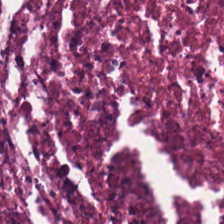FFPE tissue section; hematoxylin-and-eosin stained section — Predominantly necrotic debris.
